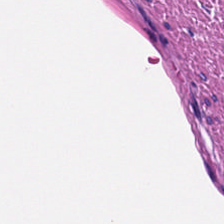Hematoxylin-and-eosin stained section · FFPE.
This patch shows smooth muscle.
